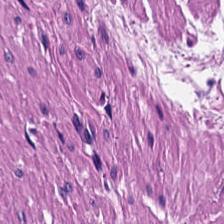Stain: H&E stain.
Predominant tissue: muscularis.
